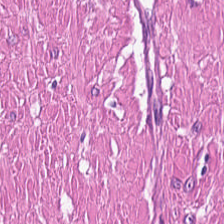Stain: H&E-stained tissue section.
Tissue type: smooth-muscle tissue.
